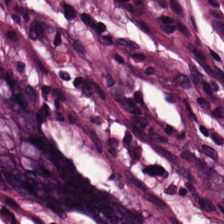Hematoxylin and eosin; WSI patch; formalin-fixed paraffin-embedded section. Tissue class — normal colonic mucosa.
